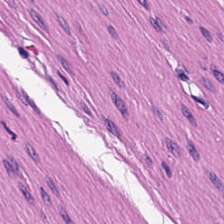Hematoxylin and eosin; FFPE. Finding — muscularis.
